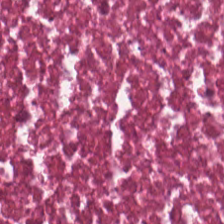Stain: hematoxylin and eosin.
Classification: cellular debris.
